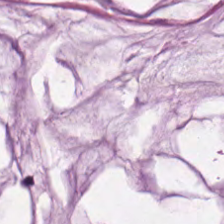H&E-stained section; the field shows mucus.
